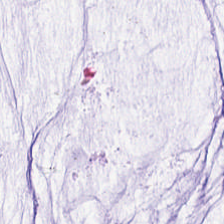Showing mucus.
